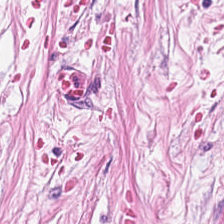H&E stain — The predominant tissue is desmoplastic stroma.
